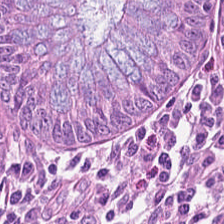H&E-stained tissue section.
Predominant tissue — benign colonic mucosa.
